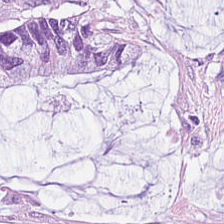Hematoxylin and eosin. {"tissue_type": "mucin"}
